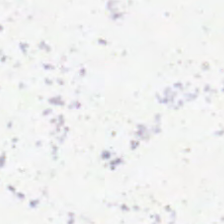H&E.
Field content = background.
